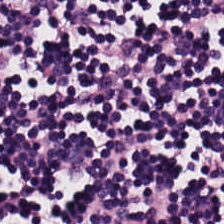224×224 pixel tile. H&E-stained tissue section. Q: What tissue is shown?
A: It is lymphocytes.
